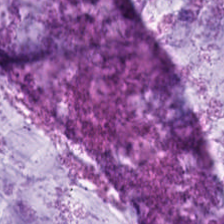Stain: H&E-stained tissue section.
Tissue: mucin.
